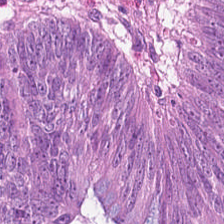Histology → colorectal adenocarcinoma epithelium.
